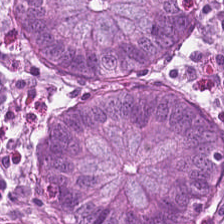Predominantly benign colonic mucosa.
